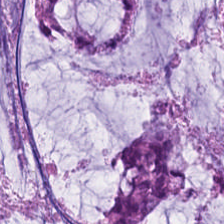Formalin-fixed paraffin-embedded section; hematoxylin and eosin — This field is mucus.
